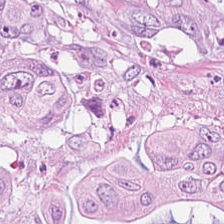0.5 microns per pixel. Formalin-fixed paraffin-embedded section. H&E. Q: What tissue is shown?
A: Colorectal adenocarcinoma.
